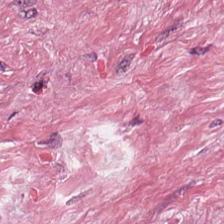Hematoxylin and eosin — Showing desmoplastic stroma.
